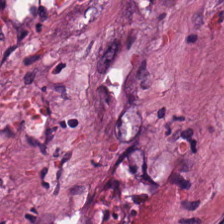The tissue here is cancer-associated stroma.
